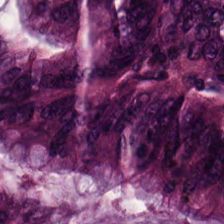Stain: H&E stain.
Predominant tissue: colorectal adenocarcinoma epithelium.
